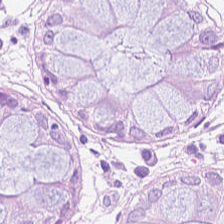FFPE. H&E. 20× equivalent magnification.
This field is normal colonic mucosa.
